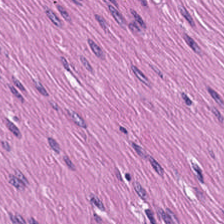Tissue — smooth muscle.
